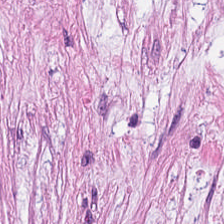H&E-stained tissue section · FFPE tissue section. Finding → desmoplastic stroma.
